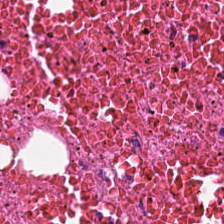H&E stain — Necrotic debris.
